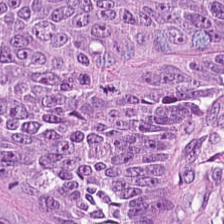{"tissue_type": "colorectal adenocarcinoma epithelium"}
